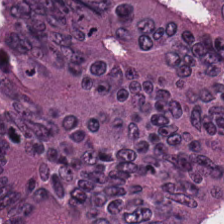Brightfield. H&E-stained tissue section — Q: Identify the tissue.
A: This is tumor epithelium.
